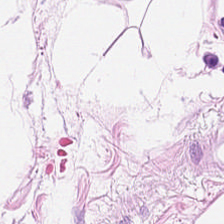H&E-stained tissue section. WSI patch. 224×224 pixel tile — Adipose.
